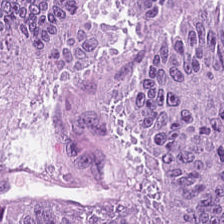Stain: hematoxylin and eosin.
Predominant tissue: malignant epithelium.
